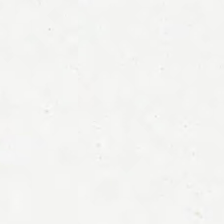Stain: H&E.
Preparation: FFPE tissue section.
Content: no tissue.
